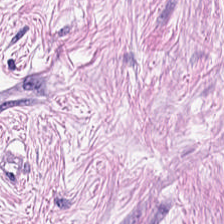FFPE · H&E. Tissue type: tumor stroma.
